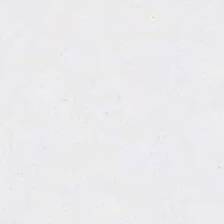H&E-stained tissue section. WSI patch. 0.5 µm per pixel.
Finding — background (no tissue).
